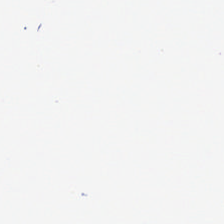Stain: H&E stain.
Acquisition: whole-slide-image patch.
Tile size: 224×224 px patch.
Content: background.
